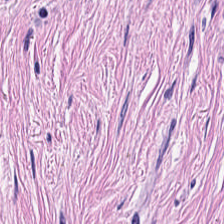WSI patch. 224×224 pixel tile. H&E.
Tissue: tumor stroma.
